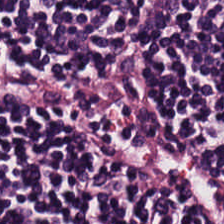FFPE. Hematoxylin-and-eosin stained section. 20× equivalent magnification. Predominant tissue = lymphoid infiltrate.
